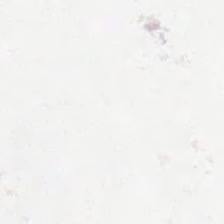FFPE tissue section; hematoxylin and eosin. {"content": "empty background"}
